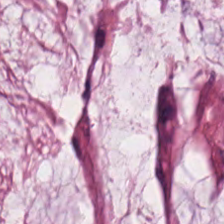Formalin-fixed paraffin-embedded section · brightfield microscopy · H&E-stained tissue section. Q: What tissue is shown?
A: Extracellular mucin.
